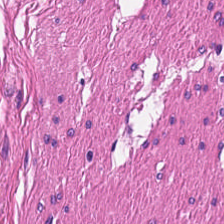FFPE tissue section · H&E stain · 224×224 px patch. Showing smooth muscle.
